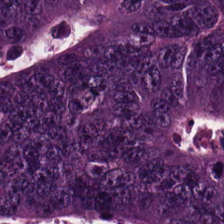FFPE. H&E.
Tissue class = malignant epithelium.
